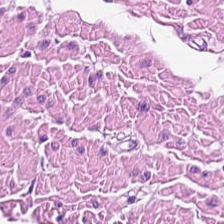Hematoxylin-and-eosin stained section.
Q: Identify the tissue.
A: The field shows smooth muscle.
